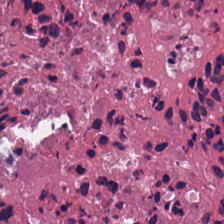224×224 px patch. H&E-stained tissue section. Brightfield microscopy.
Predominantly necrotic debris.
